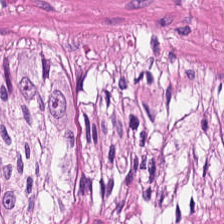Whole-slide-image patch. H&E — The predominant tissue is smooth muscle.
